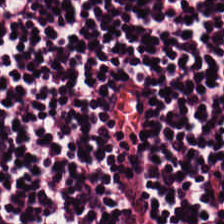H&E; FFPE tissue section. Classification — lymphocytes.
